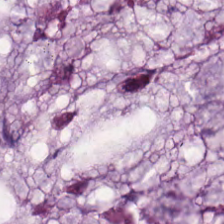Hematoxylin-and-eosin stained section. Formalin-fixed paraffin-embedded section. Finding — extracellular mucin.
